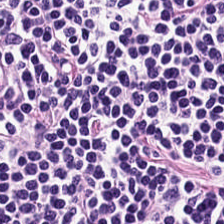Predominant tissue — lymphocytes.
